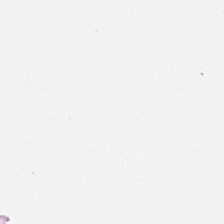H&E stain. WSI patch — Q: What is shown in this field?
A: The field shows empty background.
